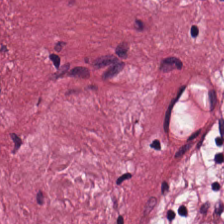Stain: H&E-stained tissue section.
Resolution: 20× equivalent magnification.
Tissue class: tumor stroma.
